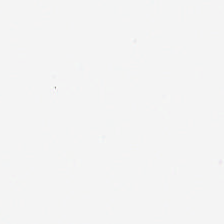Hematoxylin-and-eosin stained section. Q: What is shown in this field?
A: It is empty background.
